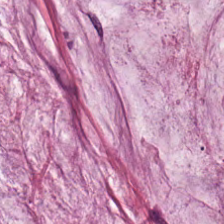0.5 microns per pixel. Hematoxylin and eosin. The tissue here is mucin.
